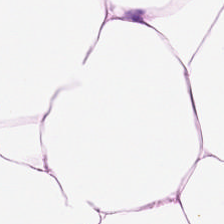Whole-slide-image patch. H&E — Q: What does this patch show?
A: Adipocytes.
